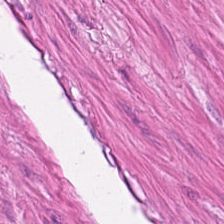Tissue class — smooth-muscle tissue.
